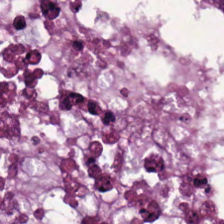H&E-stained section; the field shows adenocarcinoma.
